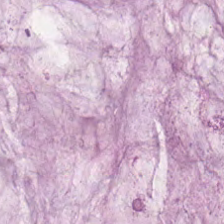Hematoxylin-and-eosin stained section — {"tissue_type": "extracellular mucin"}
